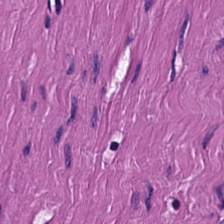Stain: hematoxylin and eosin.
Tissue: muscularis.
